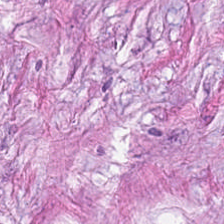Hematoxylin-and-eosin stained section; FFPE tissue section; 0.5 microns per pixel.
Classification = tumor stroma.
